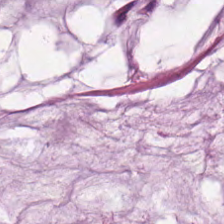This field is extracellular mucin.
